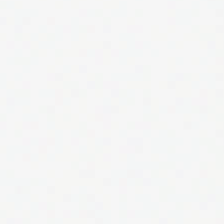Stain: H&E-stained tissue section.
Preparation: FFPE tissue section.
Classification: background (no tissue).
